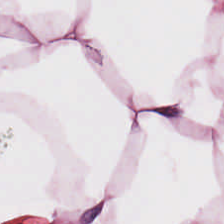H&E · WSI patch · 224×224 px tile — Classification — adipose.
